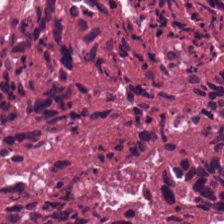Hematoxylin and eosin. This field is cellular debris.
